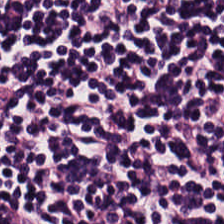Brightfield · hematoxylin and eosin. This patch shows lymphoid infiltrate.
